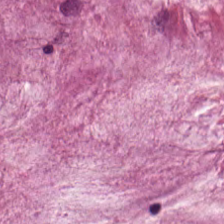Hematoxylin and eosin. {"tissue_type": "extracellular mucin"}
